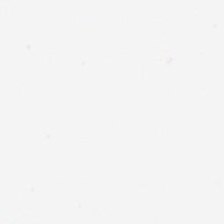Hematoxylin and eosin. Impression → no tissue.
